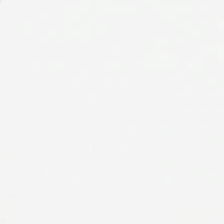Hematoxylin-and-eosin stained section.
Q: What does this patch show?
A: This is empty background.
